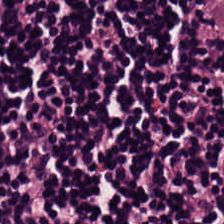0.5 microns per pixel · H&E-stained tissue section.
Predominant tissue = lymphocytes.
